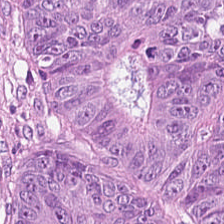Q: What is shown in this field?
A: It is colorectal adenocarcinoma epithelium.
